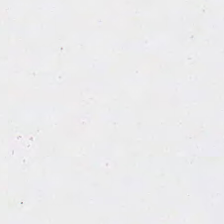The classification is background.
